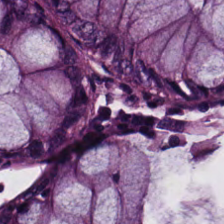H&E stain; brightfield; 0.5 µm/px — Finding → non-neoplastic colon mucosa.
